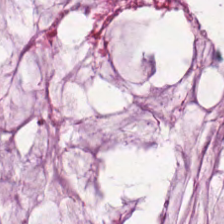Q: Classify this patch.
A: The field shows mucin.
